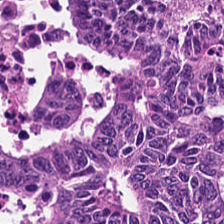Stain: hematoxylin-and-eosin stained section.
Classification: adenocarcinoma.
